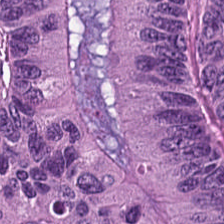Stain: H&E-stained tissue section.
Tissue class: colorectal adenocarcinoma.
